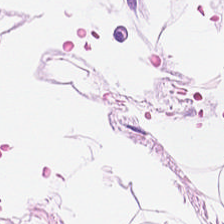Showing adipose tissue.
